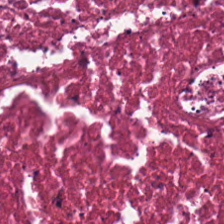Classification — debris.
